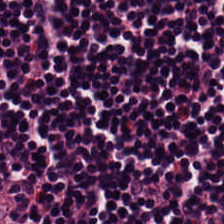H&E — {"tissue_type": "lymphoid infiltrate"}
